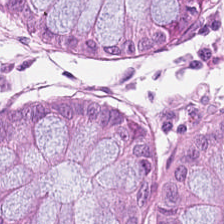Stain: H&E.
Acquisition: brightfield microscopy.
Predominant tissue: non-neoplastic colon mucosa.
